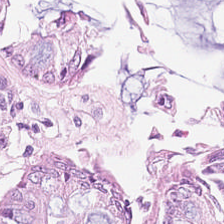Impression — benign colonic mucosa.
